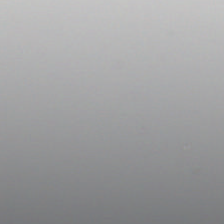This patch shows no tissue.
